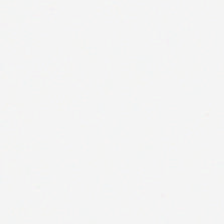Hematoxylin-and-eosin stained section — Empty background.
